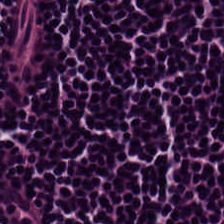WSI patch · H&E stain · 224×224 px patch. Q: What tissue is shown?
A: It is lymphocyte aggregate.
